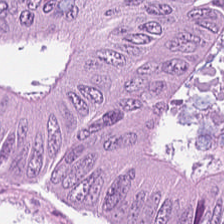Brightfield microscopy; H&E-stained tissue section; 0.5 µm/px.
Colorectal adenocarcinoma epithelium.
